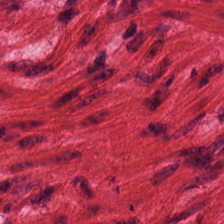0.5 microns per pixel · hematoxylin and eosin. Histology — smooth muscle.
